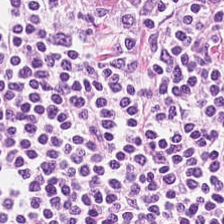224×224 pixel tile. H&E-stained tissue section — This field is lymphocytic infiltrate.
